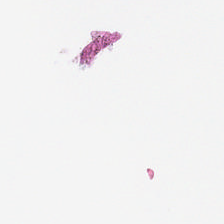H&E stain. Brightfield microscopy.
No tissue present; background only.
